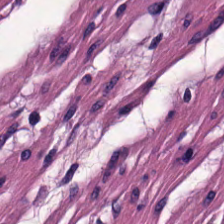0.5 µm per pixel; H&E-stained tissue section — Showing smooth muscle.
